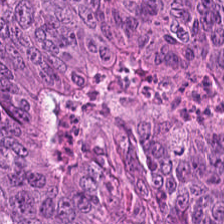H&E; 0.5 µm/px; 224×224 px patch.
This patch shows colorectal adenocarcinoma.
